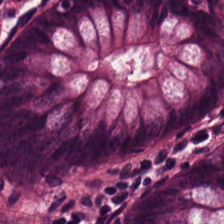H&E stain · 224×224 pixel tile — The predominant tissue is normal colonic mucosa.
